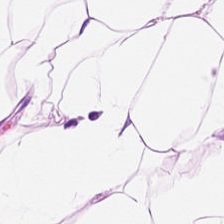Classification = adipocytes.
